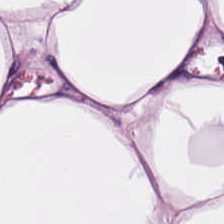H&E-stained section; the field shows adipose.
